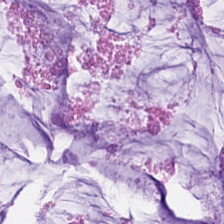The predominant tissue is extracellular mucin.
